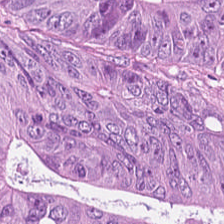Hematoxylin-and-eosin stained section.
The predominant tissue is malignant epithelium.
